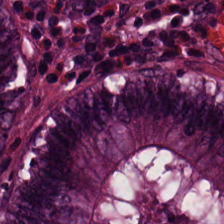H&E-stained tissue section showing normal colonic mucosa.
